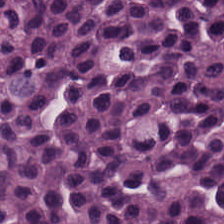Tissue type: lymphoid infiltrate.
